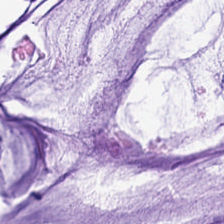Classification = mucin.
